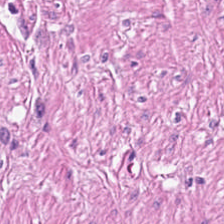H&E-stained tissue section. 0.5 µm per pixel — Tissue class: muscularis.
